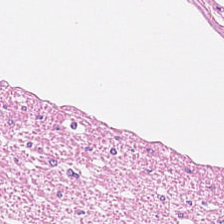Hematoxylin and eosin; 0.5 µm/px. Tissue: muscularis.
